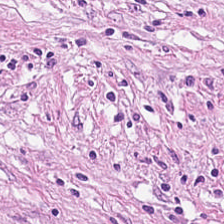H&E-stained tissue section; brightfield microscopy.
The tissue here is tumor stroma.
